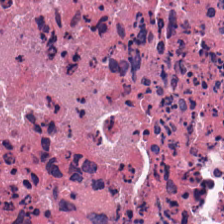Tissue class = cellular debris.
